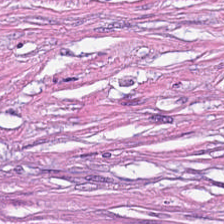Stain: hematoxylin and eosin.
Tile size: 224×224 px tile.
Resolution: 0.5 µm per pixel.
Classification: cancer-associated stroma.
